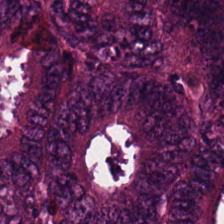Hematoxylin and eosin. This patch shows tumor epithelium.
